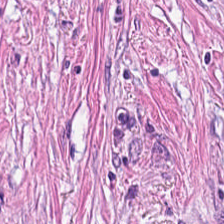Tissue class: tumor-associated stroma.
